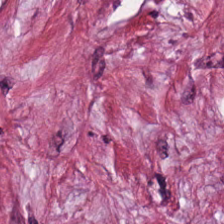FFPE tissue section · H&E stain — Tissue type — tumor stroma.
